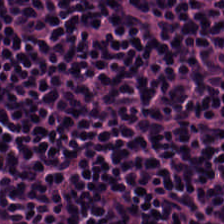Hematoxylin-and-eosin stained section. FFPE — This patch shows lymphoid infiltrate.
